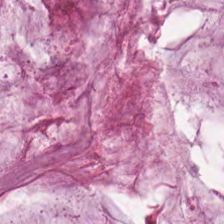Finding → extracellular mucin.
